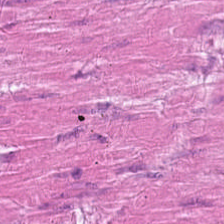Hematoxylin-and-eosin stained section. 0.5 µm per pixel. Tissue class — smooth-muscle tissue.
